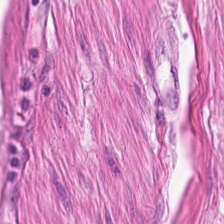Formalin-fixed paraffin-embedded section; H&E-stained tissue section. Q: What is shown here?
A: The field shows muscularis.
